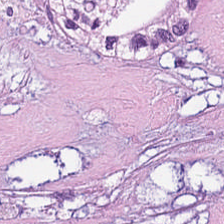Hematoxylin and eosin. The tissue is cellular debris.
